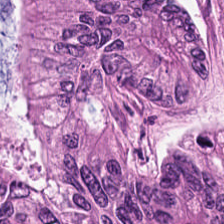Hematoxylin and eosin.
Predominantly adenocarcinoma.
